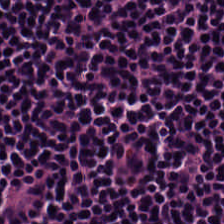H&E-stained tissue section · 20× equivalent magnification · FFPE tissue section — The predominant tissue is lymphocytic infiltrate.
